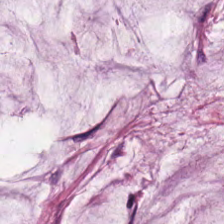H&E-stained tissue section.
Impression — mucin.
